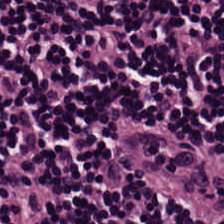WSI patch; H&E stain. Lymphocytic infiltrate.
